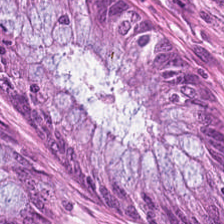H&E-stained tissue section.
Predominantly benign colonic mucosa.
